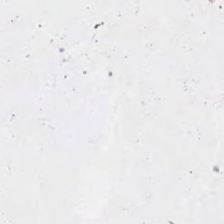Hematoxylin and eosin.
Background — no tissue in this field.
